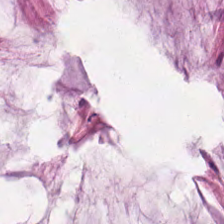Histology → extracellular mucin.
